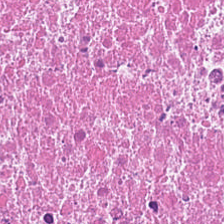The tissue here is necrotic debris.
